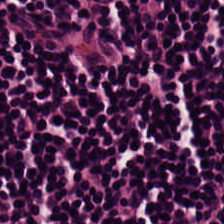{"tissue_type": "lymphocytes"}
